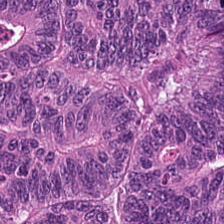Brightfield; H&E stain — The predominant tissue is adenocarcinoma.
